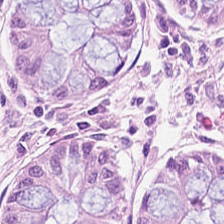Histology → non-neoplastic colon mucosa.
